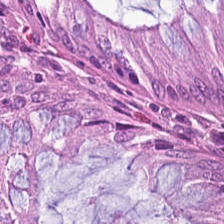H&E.
Tissue type — non-neoplastic colon mucosa.
